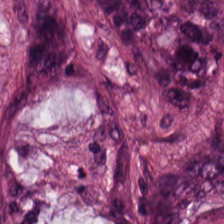H&E-stained tissue section; 224×224 px tile. Histology → malignant epithelium.
